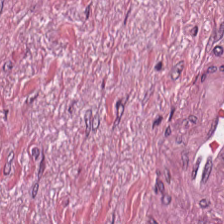Hematoxylin-and-eosin section: cancer-associated stroma.
